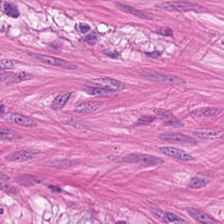H&E-stained tissue section.
Histology → smooth muscle.
